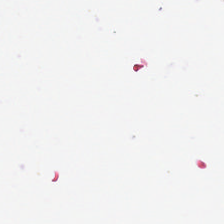Hematoxylin-and-eosin stained section; 224×224 px tile; formalin-fixed paraffin-embedded section. No tissue present; background only.
